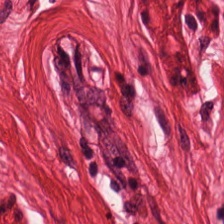WSI patch; H&E-stained tissue section; formalin-fixed paraffin-embedded section. The predominant tissue is muscularis.
